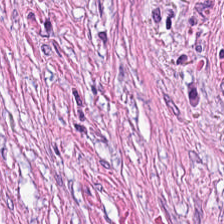H&E · 20× equivalent magnification. This field is tumor-associated stroma.
